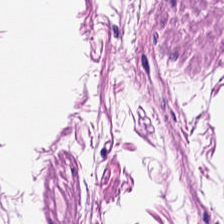Histology — smooth muscle.
